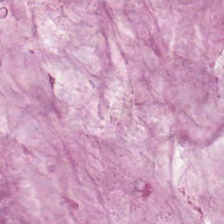Predominantly extracellular mucin.
